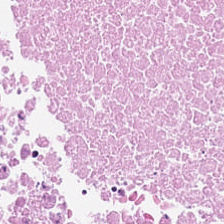Impression — cellular debris.
